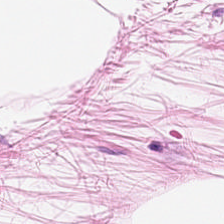H&E patch showing adipose.
